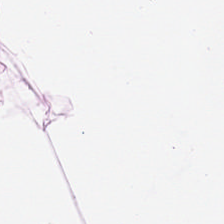Hematoxylin and eosin. Classification = adipose tissue.
